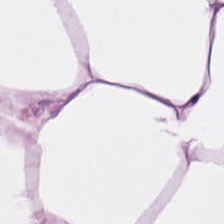Stain: H&E-stained tissue section.
Predominant tissue: adipocytes.
